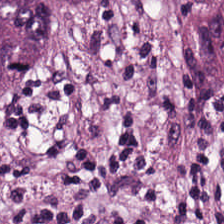Hematoxylin and eosin — The classification is tumor stroma.
